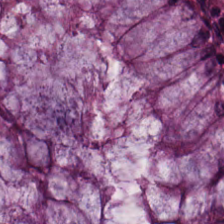H&E stain · FFPE tissue section. Normal colonic mucosa.
